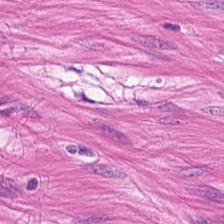H&E stain. Smooth-muscle tissue.
